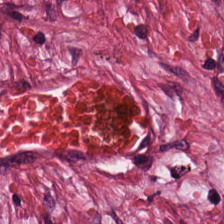Hematoxylin-and-eosin stained section.
Predominant tissue: tumor-associated stroma.
